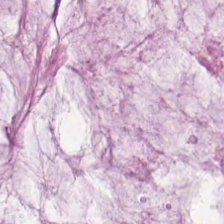H&E. Classification — mucin.
